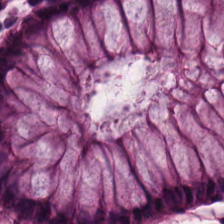Hematoxylin-and-eosin stained section · 224×224 px tile. Tissue = normal colonic mucosa.
